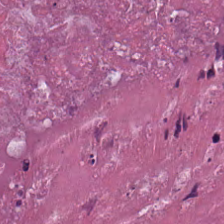Hematoxylin-and-eosin stained section — The predominant tissue is necrotic debris.
